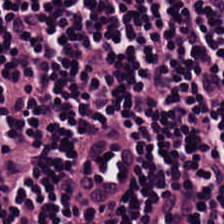Hematoxylin-and-eosin section: lymphoid infiltrate.
